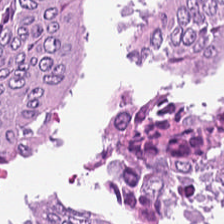224×224 pixel tile · H&E · 0.5 µm/px.
Histology — colorectal adenocarcinoma.
